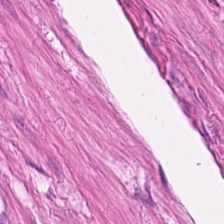This field is smooth muscle.
